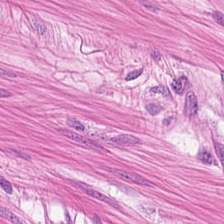H&E-stained tissue section.
Q: What is shown here?
A: This is smooth muscle.
